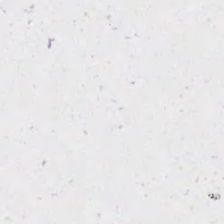224×224 pixel tile · 0.5 µm per pixel · H&E — No tissue present; background only.
